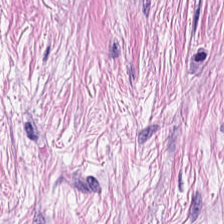H&E — The tissue here is cancer-associated stroma.
